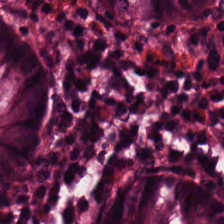This field is non-neoplastic colon mucosa.
